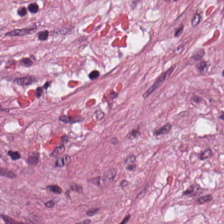H&E-stained tissue section.
Showing cancer-associated stroma.
